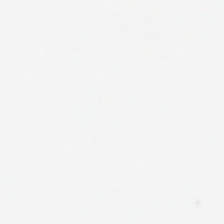Hematoxylin and eosin · 224×224 px tile — Empty field — background (no tissue).
